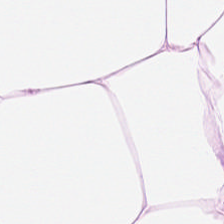H&E stain · formalin-fixed paraffin-embedded section · WSI patch. This field is adipose.
